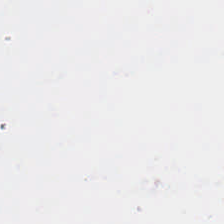Brightfield microscopy; hematoxylin and eosin; FFPE — Q: What does this patch show?
A: The field shows no tissue.
